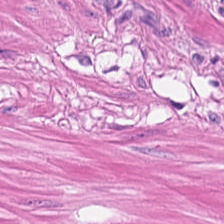H&E-stained tissue section.
Impression → smooth-muscle tissue.
